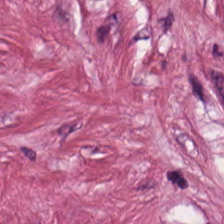H&E — tumor stroma.
